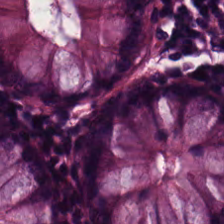H&E; brightfield microscopy. The tissue is normal colon mucosa.
